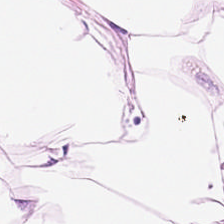H&E patch showing fat tissue.
